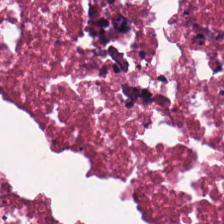Showing debris.
